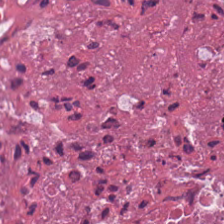Stain: hematoxylin and eosin.
Tissue type: debris.
